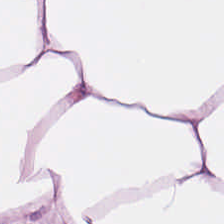Brightfield microscopy; hematoxylin and eosin. Finding — adipose.
